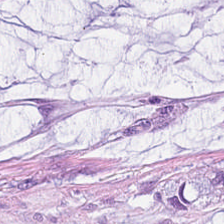Hematoxylin and eosin · whole-slide-image patch · 20× equivalent magnification — The tissue class is mucus.
